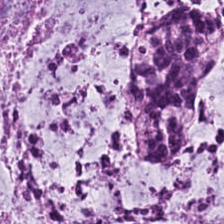Hematoxylin and eosin · 224×224 px patch — {"tissue_type": "mucus"}
